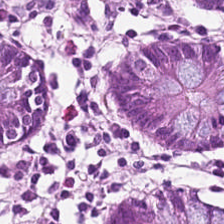Normal colon mucosa.
